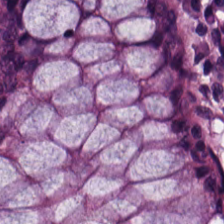H&E-stained tissue section. This field is normal colonic mucosa.
